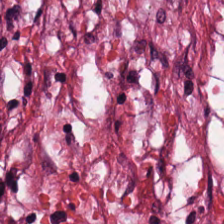Tissue type: tumor-associated stroma.
